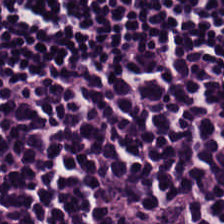224×224 pixel tile; H&E stain — Predominantly lymphoid infiltrate.
